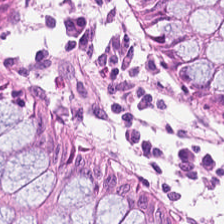H&E-stained tissue section. The tissue class is benign colonic mucosa.
